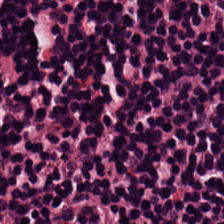H&E. The tissue here is lymphocyte aggregate.
